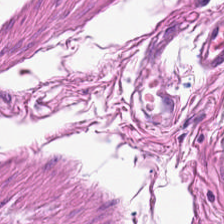The predominant tissue is smooth muscle.
